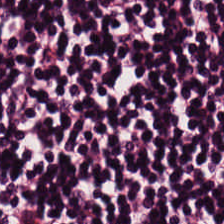Hematoxylin-and-eosin stained section — Predominantly lymphocytic infiltrate.
